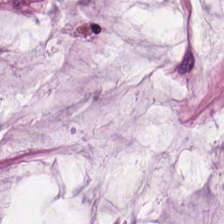H&E; 0.5 microns per pixel — This field is mucus.
